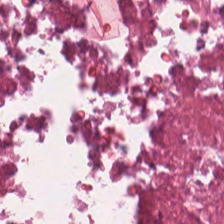H&E-stained tissue section. FFPE tissue section. 224×224 px patch — Q: What does this patch show?
A: The field shows debris.
